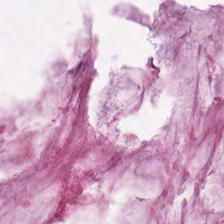224×224 px tile · H&E-stained tissue section — The predominant tissue is extracellular mucin.
